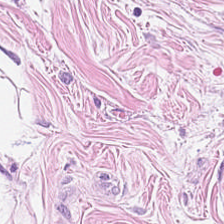Hematoxylin-and-eosin stained section. Q: Identify the tissue.
A: It is adipose tissue.
